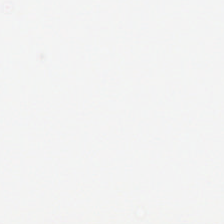H&E. No tissue present; background only.
